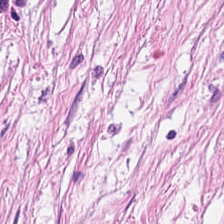H&E patch showing tumor stroma.
